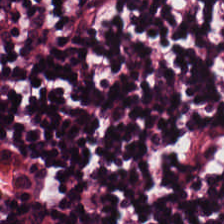Predominant tissue = lymphocyte aggregate.
